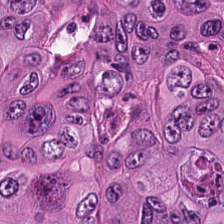Formalin-fixed paraffin-embedded section; 0.5 µm per pixel; hematoxylin-and-eosin stained section — Predominant tissue = adenocarcinoma.
